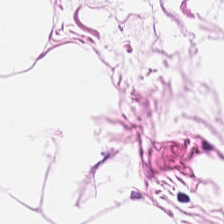224×224 pixel tile · H&E. Adipocytes.
